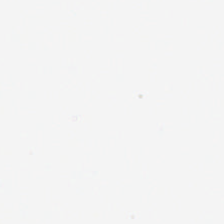Hematoxylin-and-eosin stained section — {"content": "no tissue"}
